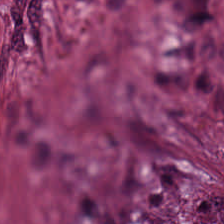H&E stain — Q: What is shown here?
A: This is desmoplastic stroma.
